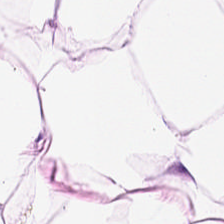Stain: hematoxylin-and-eosin stained section.
Acquisition: brightfield.
Tile size: 224×224 px patch.
Tissue type: adipose tissue.
